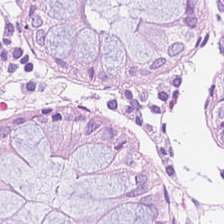H&E stain. The predominant tissue is benign colonic mucosa.
